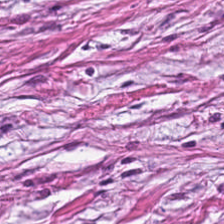Hematoxylin and eosin. 0.5 µm/px — Showing tumor stroma.
